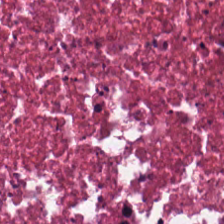Tissue — debris.
